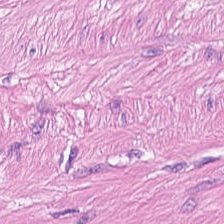Stain: H&E.
Preparation: FFPE tissue section.
Predominant tissue: smooth-muscle tissue.
